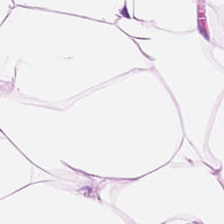H&E-stained tissue section — Impression → adipose.
